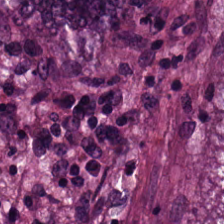Tissue = tumor epithelium.
